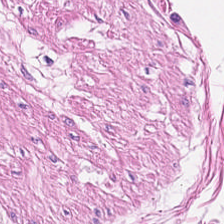H&E stain — Predominantly smooth muscle.
